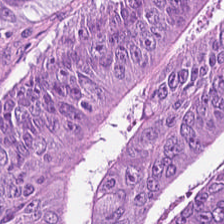{"tissue_type": "colorectal adenocarcinoma epithelium"}
